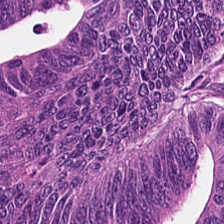Hematoxylin-and-eosin stained section. Finding — colorectal adenocarcinoma.
